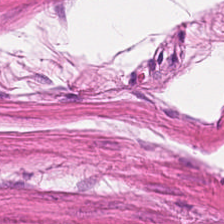Q: What does this patch show?
A: This is smooth-muscle tissue.
